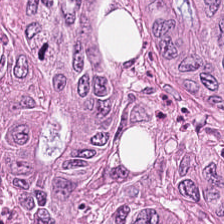H&E stain. Q: Identify the tissue.
A: It is tumor epithelium.
